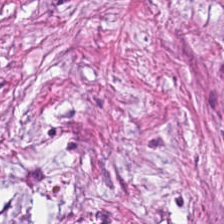H&E.
Tissue type — tumor stroma.
